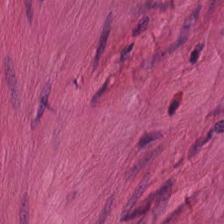Predominant tissue = muscularis.
